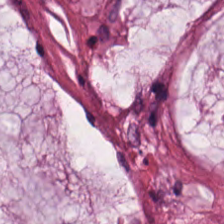Stain: hematoxylin and eosin.
Preparation: FFPE tissue section.
Classification: mucin.
